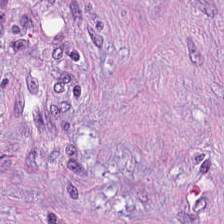H&E-stained tissue section; FFPE. The tissue type is cancer-associated stroma.
